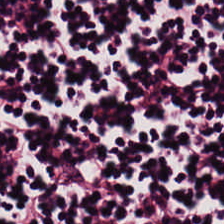FFPE · hematoxylin-and-eosin stained section — Tissue = lymphoid infiltrate.
